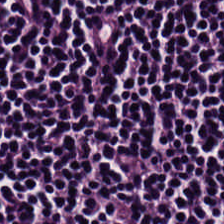Stain: hematoxylin and eosin.
Resolution: 0.5 µm/px.
Tissue type: lymphocyte aggregate.
